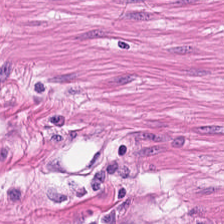FFPE tissue section. Hematoxylin-and-eosin stained section.
This patch shows smooth muscle.
